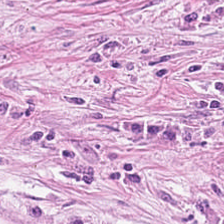FFPE; 224×224 px tile; H&E stain — Desmoplastic stroma.
